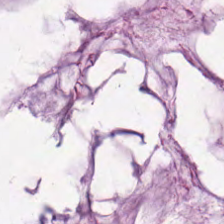Hematoxylin-and-eosin stained section.
Classification: mucus.
